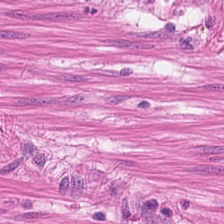H&E stain · 224×224 px tile — Showing smooth-muscle tissue.
